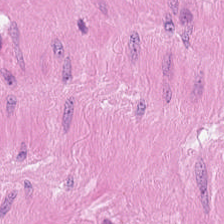20× equivalent magnification; hematoxylin-and-eosin stained section.
{"tissue_type": "muscularis"}
